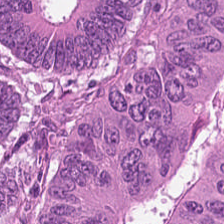Formalin-fixed paraffin-embedded section. 224×224 px patch. Hematoxylin-and-eosin stained section — Tissue class — colorectal adenocarcinoma.
